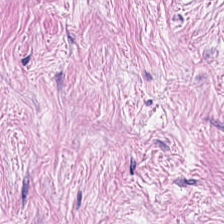Showing tumor-associated stroma.
